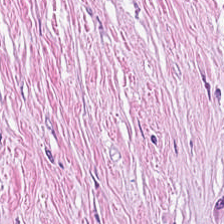Tissue class: desmoplastic stroma.
